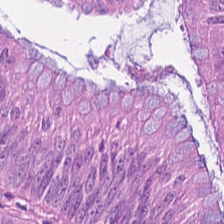H&E. Q: What is the predominant tissue type?
A: The field shows colorectal adenocarcinoma epithelium.
